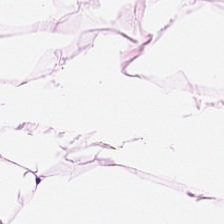Showing adipose tissue.
